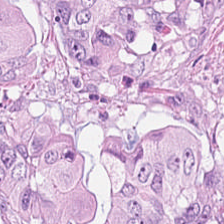H&E-stained section; the field shows colorectal adenocarcinoma epithelium.
